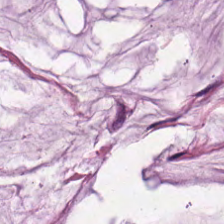Hematoxylin and eosin. 0.5 microns per pixel. WSI patch — Finding — mucin.
